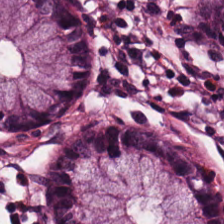224×224 px patch; hematoxylin-and-eosin stained section.
The tissue is normal colonic mucosa.
